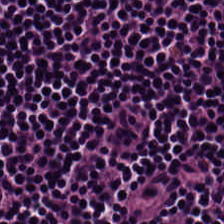H&E-stained tissue section. FFPE — The tissue here is lymphocytes.
